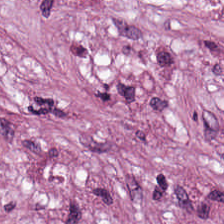Hematoxylin and eosin. {"tissue_type": "tumor-associated stroma"}
